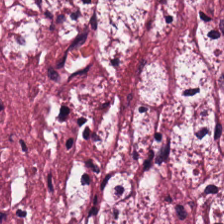Whole-slide-image patch. Hematoxylin-and-eosin stained section. 0.5 µm/px.
Q: What does this patch show?
A: Cancer-associated stroma.
